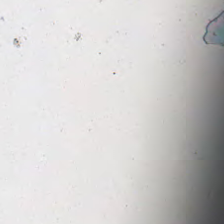20× equivalent magnification · H&E-stained tissue section.
Impression — background (no tissue).
